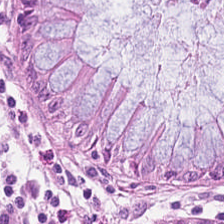Stain: H&E.
Classification: benign colonic mucosa.
